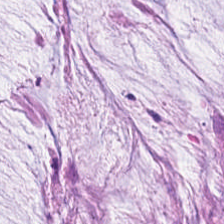WSI patch; hematoxylin-and-eosin stained section — Tissue class — extracellular mucin.
